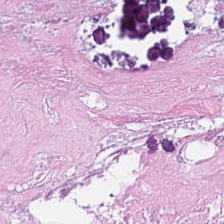Hematoxylin and eosin; 20× equivalent magnification — Impression — necrotic debris.
